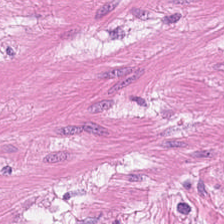Classification = smooth muscle.
